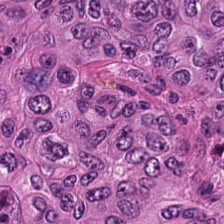Hematoxylin and eosin · 224×224 pixel tile. Histology — adenocarcinoma.
